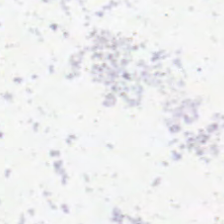Empty field — empty background.
